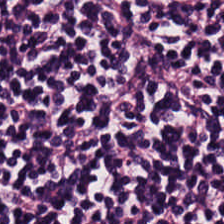FFPE tissue section; hematoxylin-and-eosin stained section. Q: What type of tissue is this?
A: Lymphocyte aggregate.
